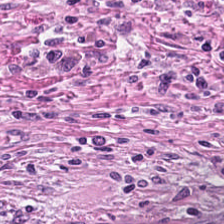Hematoxylin and eosin — Q: What tissue is shown?
A: The field shows desmoplastic stroma.
